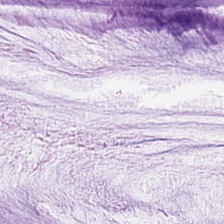0.5 µm per pixel; 224×224 pixel tile; H&E stain.
Tissue type — extracellular mucin.
